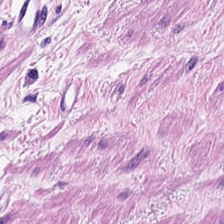H&E — Q: Classify this patch.
A: This is muscularis.
